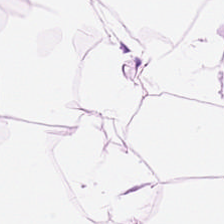Stain: hematoxylin and eosin.
Tissue: adipose.
